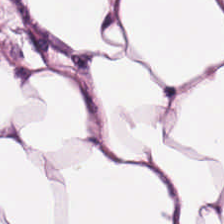Hematoxylin and eosin.
Adipocytes.
